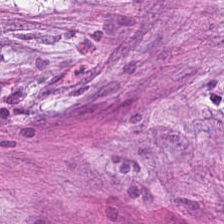H&E.
{"tissue_type": "desmoplastic stroma"}
